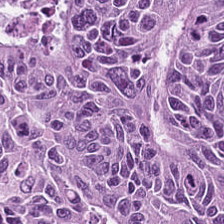Hematoxylin and eosin — Colorectal adenocarcinoma.
